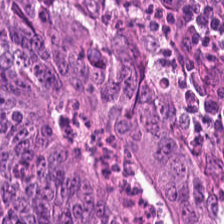FFPE tissue section. H&E. Tissue class — tumor epithelium.
